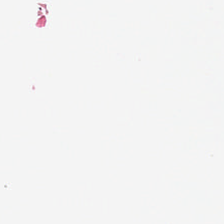H&E-stained tissue section · brightfield microscopy.
Empty background.
